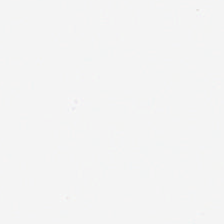H&E stain. 224×224 px patch.
Content: no tissue.
